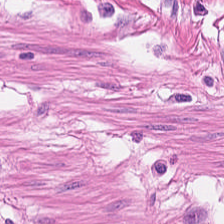Hematoxylin-and-eosin stained section — Showing smooth muscle.
